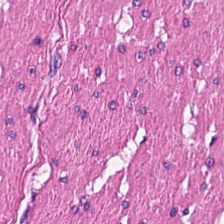Hematoxylin-and-eosin stained section; whole-slide-image patch.
Classification — smooth muscle.
